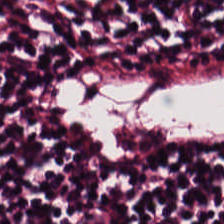H&E stain; FFPE tissue section — Lymphocyte aggregate.
